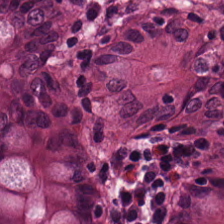H&E. Q: What does this patch show?
A: Non-neoplastic colon mucosa.
